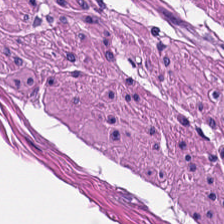Hematoxylin-and-eosin stained section; formalin-fixed paraffin-embedded section.
Classification: smooth-muscle tissue.
